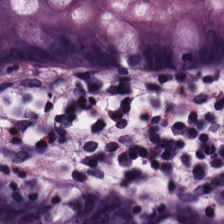Brightfield microscopy. 224×224 pixel tile. Hematoxylin and eosin. Tissue type — benign colonic mucosa.
